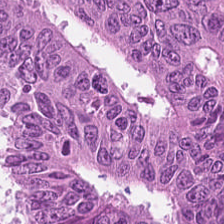Predominantly malignant epithelium.
